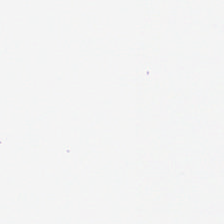224×224 pixel tile · FFPE tissue section · H&E-stained tissue section.
Q: What is shown in this field?
A: Background.
